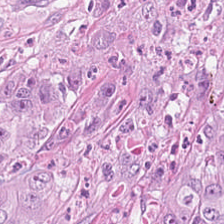H&E stain. Showing malignant epithelium.
